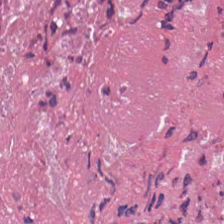H&E stain. The predominant tissue is necrotic debris.
